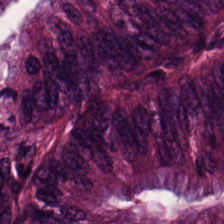The tissue is adenocarcinoma.
